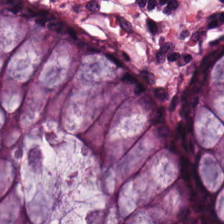The tissue type is benign colonic mucosa.
